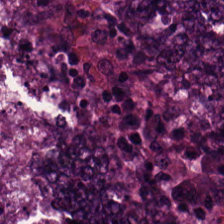Stain: H&E stain.
Acquisition: brightfield microscopy.
Preparation: formalin-fixed paraffin-embedded section.
Tissue: colorectal adenocarcinoma epithelium.
